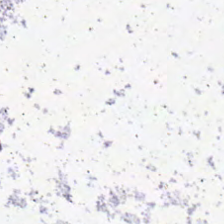Background.
